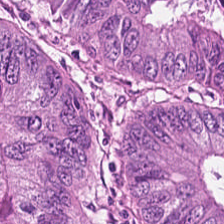The tissue type is colorectal adenocarcinoma.
